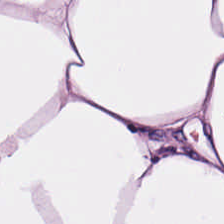Q: What tissue type is shown here?
A: The field shows adipose.
